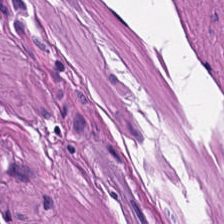Hematoxylin and eosin.
The tissue is smooth muscle.
